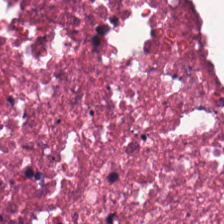0.5 µm/px · brightfield microscopy · hematoxylin-and-eosin stained section.
This field is cellular debris.
